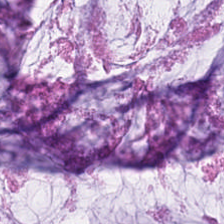Hematoxylin and eosin — The predominant tissue is extracellular mucin.
